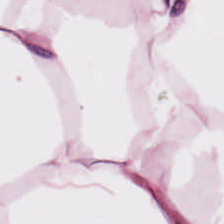0.5 µm/px; FFPE; H&E stain. Showing fat tissue.
